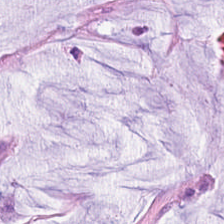H&E · 224×224 px tile · 20× equivalent magnification. Q: What is shown here?
A: It is extracellular mucin.
